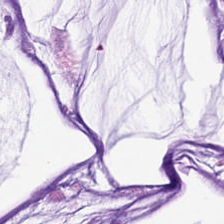H&E stain — Histology → extracellular mucin.
